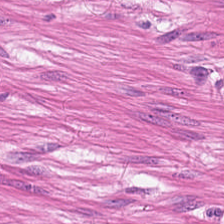Q: What is shown here?
A: Muscularis.
